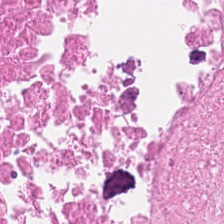Hematoxylin-and-eosin stained section. 224×224 px patch.
Necrotic debris.
